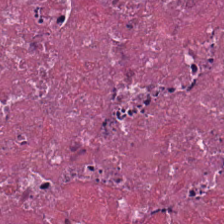H&E — necrotic debris.
